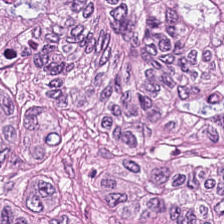H&E patch showing colorectal adenocarcinoma epithelium.
